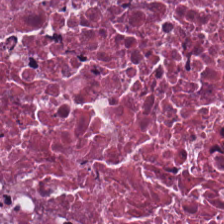Stain: H&E.
Classification: debris.
